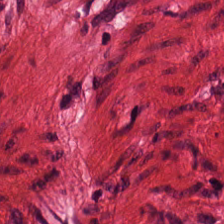Whole-slide-image patch; hematoxylin-and-eosin stained section. Muscularis.
